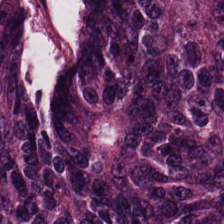This field is tumor epithelium.
